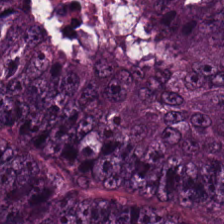Q: What tissue is shown?
A: Adenocarcinoma.
